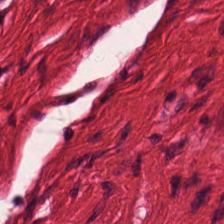224×224 pixel tile. H&E. 20× equivalent magnification. The predominant tissue is muscularis.
